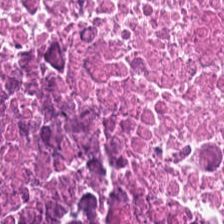Stain: hematoxylin-and-eosin stained section.
Preparation: FFPE tissue section.
Resolution: 0.5 microns per pixel.
Tissue type: necrotic debris.
